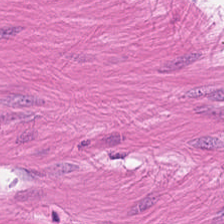Stain: H&E.
Classification: smooth muscle.
